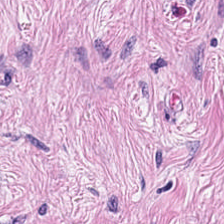{"tissue_type": "cancer-associated stroma"}
